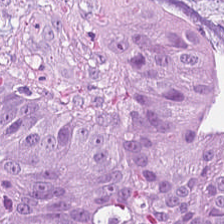Hematoxylin-and-eosin stained section — The predominant tissue is tumor epithelium.
